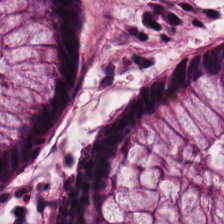Tissue type = normal colon mucosa.
